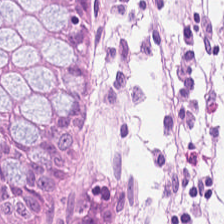H&E-stained tissue section.
The predominant tissue is non-neoplastic colon mucosa.
